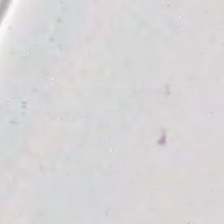0.5 µm/px; hematoxylin and eosin. Empty field — background (no tissue).
